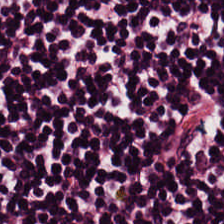H&E stain — Q: Classify this patch.
A: The field shows lymphocytic infiltrate.
